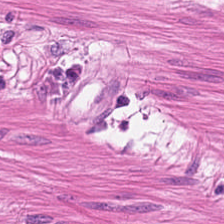Hematoxylin and eosin — The tissue here is smooth muscle.
